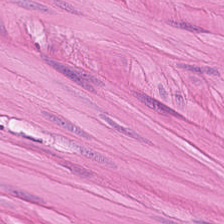Q: Identify the tissue.
A: This is smooth-muscle tissue.
